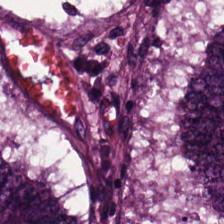FFPE · H&E-stained tissue section.
Q: What is shown in this field?
A: The field shows adenocarcinoma.
